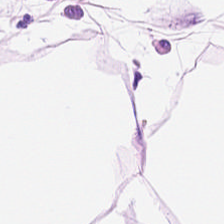H&E — adipose tissue.
